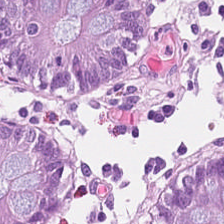Predominant tissue: normal colonic mucosa.
